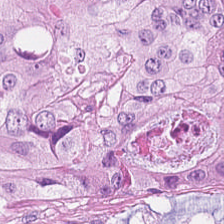H&E-stained tissue section. Whole-slide-image patch. 224×224 pixel tile.
Showing adenocarcinoma.
